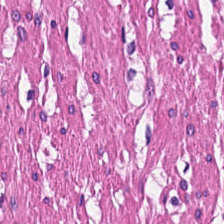Tissue class = smooth-muscle tissue.
